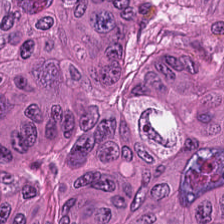Hematoxylin and eosin. Impression — malignant epithelium.
